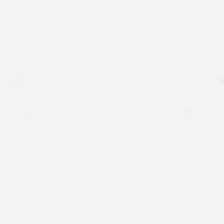H&E-stained tissue section · brightfield · FFPE. Field content: no tissue.
